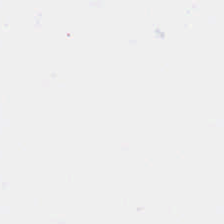Q: What is shown in this field?
A: Empty background.
